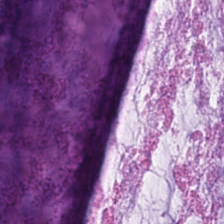H&E.
This field is mucus.
